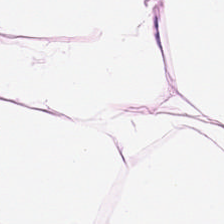Q: What type of tissue is this?
A: The field shows adipose.
